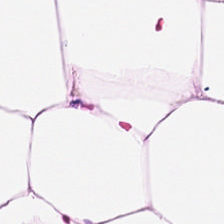Stain: H&E.
Tissue class: adipose.
